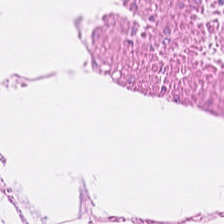Classification: muscularis.
